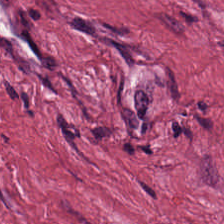H&E stain. Histology — tumor stroma.
